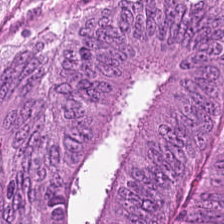H&E. Q: What tissue is shown?
A: Tumor epithelium.
